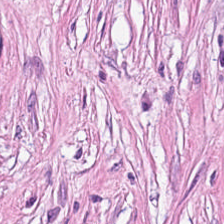FFPE. H&E. 224×224 px tile.
Showing tumor-associated stroma.
